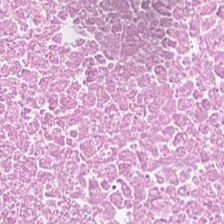224×224 px patch · hematoxylin-and-eosin stained section — The classification is necrotic debris.
